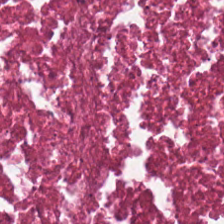The predominant tissue is necrotic debris.
